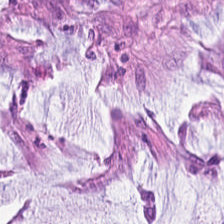Q: What tissue is shown?
A: The field shows mucus.
